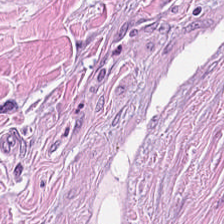H&E stain — Histology — cancer-associated stroma.
